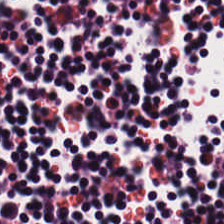Histology → lymphocytes.
